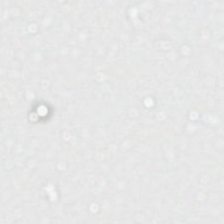This patch shows empty background.
